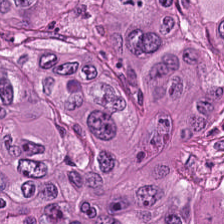Q: What tissue is shown?
A: Colorectal adenocarcinoma epithelium.
